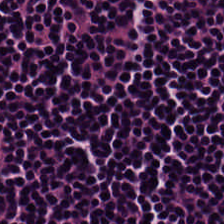Predominant tissue — lymphocytes.
